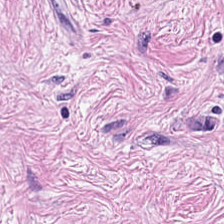Stain: H&E-stained tissue section.
Tissue type: desmoplastic stroma.
